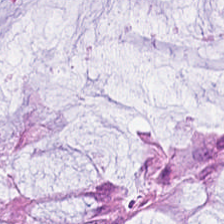H&E stain.
Q: What type of tissue is this?
A: Benign colonic mucosa.
